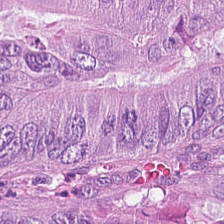Stain: hematoxylin and eosin.
Tissue: tumor epithelium.
